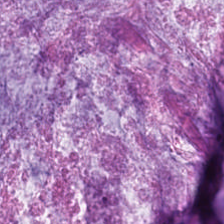Hematoxylin-and-eosin stained section. 0.5 µm/px. Q: What tissue type is shown here?
A: The field shows extracellular mucin.
